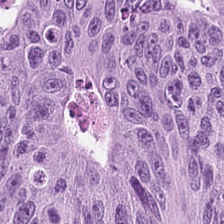Formalin-fixed paraffin-embedded section. Hematoxylin-and-eosin stained section. 20× equivalent magnification.
Showing colorectal adenocarcinoma.
